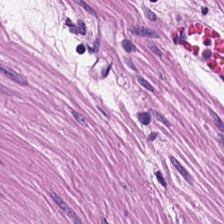H&E stain. 224×224 px tile — Showing smooth muscle.
